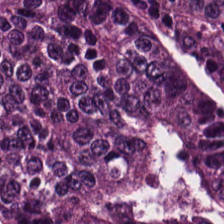H&E-stained tissue section.
This patch shows tumor epithelium.
